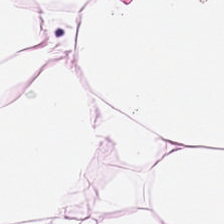Stain: H&E.
Tissue type: fat tissue.
